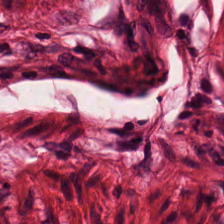Showing muscularis.
